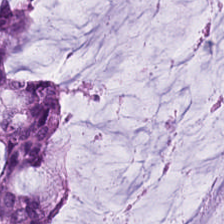Stain: hematoxylin-and-eosin stained section.
Preparation: formalin-fixed paraffin-embedded section.
Classification: mucus.
